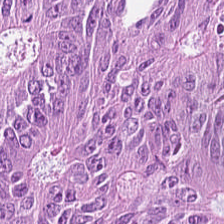Hematoxylin and eosin; whole-slide-image patch — Tissue type — colorectal adenocarcinoma epithelium.
